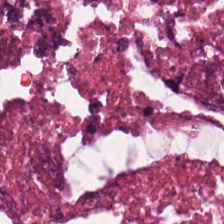224×224 pixel tile · hematoxylin and eosin — Finding → necrotic debris.
